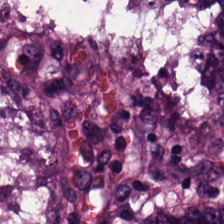Tissue = colorectal adenocarcinoma.
